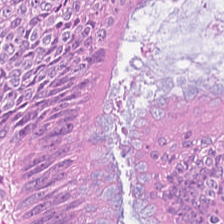Stain: hematoxylin and eosin.
Predominant tissue: tumor epithelium.
